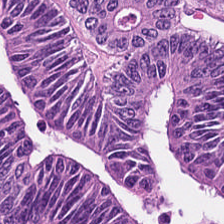Brightfield microscopy; 0.5 microns per pixel; H&E — Colorectal adenocarcinoma epithelium.
